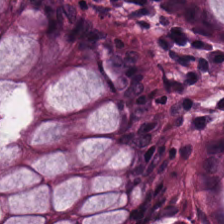224×224 pixel tile. H&E stain — {"tissue_type": "normal colon mucosa"}
